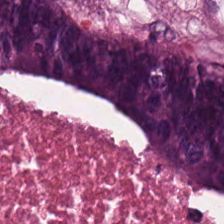Stain: hematoxylin and eosin.
Tissue class: necrotic debris.
